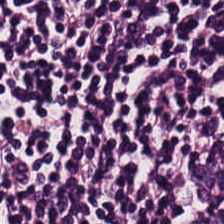This field is lymphocytes.
